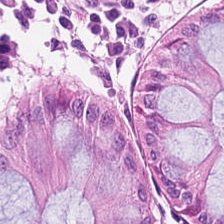Hematoxylin-and-eosin stained section.
The tissue here is normal colon mucosa.
